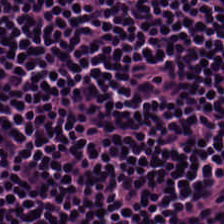Hematoxylin and eosin. Brightfield. The predominant tissue is lymphoid infiltrate.
